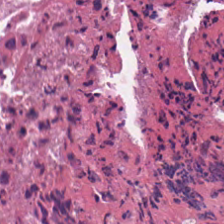Hematoxylin-and-eosin stained section.
{"tissue_type": "necrotic debris"}
